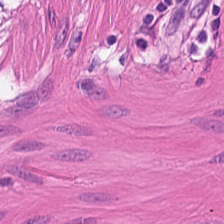Tissue class = muscularis.
